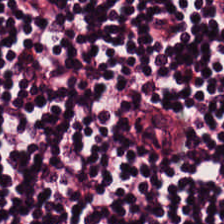Hematoxylin-and-eosin stained section. {"tissue_type": "lymphocytic infiltrate"}
